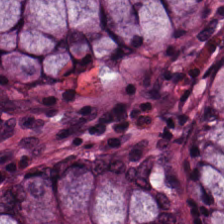H&E stain; 20× equivalent magnification.
Tissue class — normal colon mucosa.
